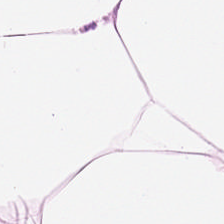FFPE · hematoxylin and eosin · 224×224 px tile. The tissue here is adipocytes.
